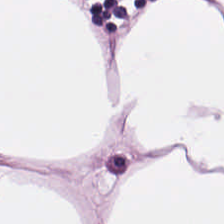Brightfield microscopy · H&E stain — Q: What does this patch show?
A: Adipose.
